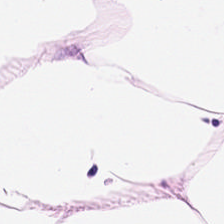Hematoxylin-and-eosin stained section; 0.5 µm per pixel — Tissue type: fat tissue.
